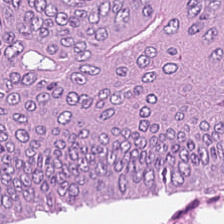H&E-stained tissue section · 224×224 px tile · 0.5 microns per pixel.
Tissue = colorectal adenocarcinoma epithelium.
